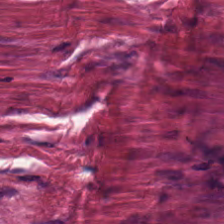Stain: hematoxylin and eosin.
Preparation: FFPE.
Tile size: 224×224 px patch.
Tissue: tumor-associated stroma.
